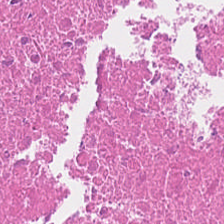224×224 px patch. Hematoxylin and eosin — Tissue type — cellular debris.
